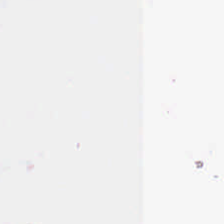H&E-stained tissue section — Field content — background.
